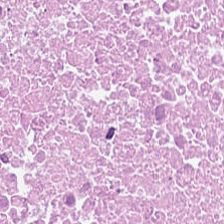Hematoxylin and eosin — Tissue type — necrotic debris.
